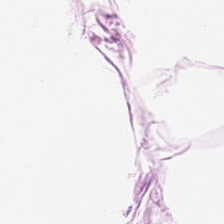224×224 px tile; H&E stain — Q: What does this patch show?
A: It is adipose tissue.
